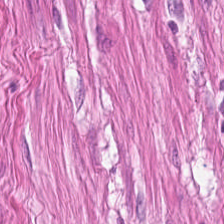Hematoxylin and eosin. Muscularis.
